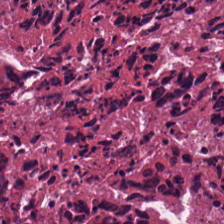Hematoxylin-and-eosin stained section — The tissue here is necrotic debris.
